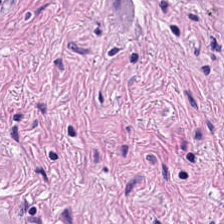Tissue class — muscularis.
